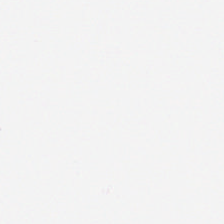0.5 microns per pixel. Hematoxylin and eosin. Field content: no tissue.
